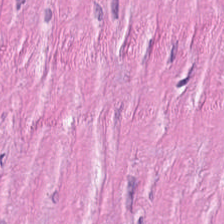H&E.
Impression → tumor-associated stroma.
